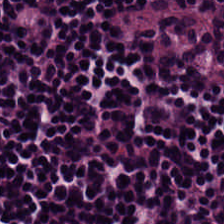H&E-stained tissue section · FFPE.
Finding — lymphocytes.
